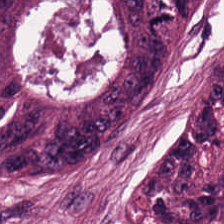The tissue is tumor epithelium.
